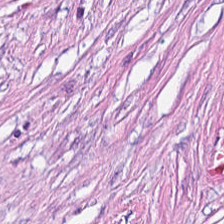H&E. Predominant tissue: desmoplastic stroma.
